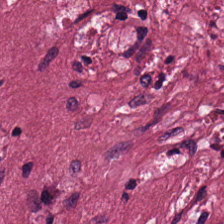This field is tumor stroma.
